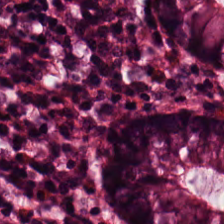Hematoxylin-and-eosin stained section. The predominant tissue is benign colonic mucosa.
